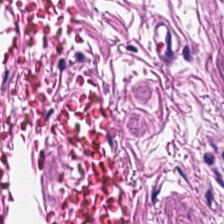The tissue here is muscularis.
